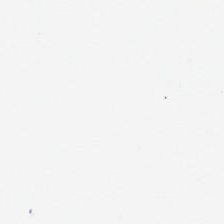Whole-slide-image patch. H&E stain — This field is background (no tissue).
